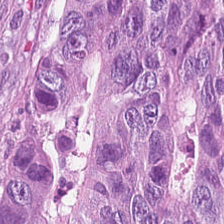Whole-slide-image patch. H&E.
Tissue class = malignant epithelium.
